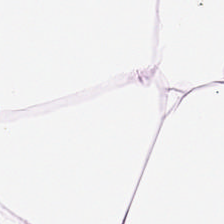Tissue type — adipocytes.
